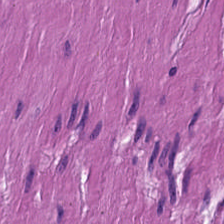Impression — smooth-muscle tissue.
